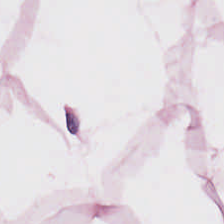H&E-stained tissue section. {"tissue_type": "adipocytes"}
